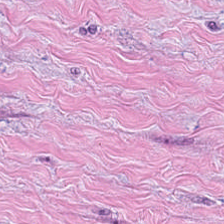Stain: H&E.
Predominant tissue: tumor stroma.
